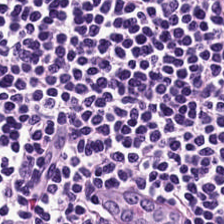H&E-stained tissue section. This patch shows lymphocytes.
